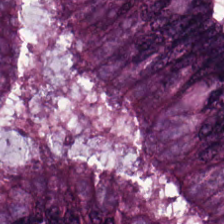Hematoxylin and eosin — Q: What tissue is shown?
A: This is colorectal adenocarcinoma epithelium.
